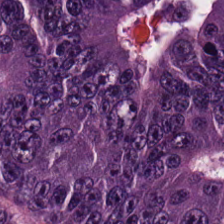WSI patch · hematoxylin-and-eosin stained section.
Colorectal adenocarcinoma.
